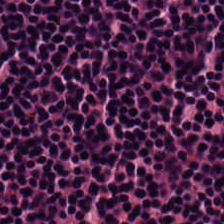H&E. Tissue type = lymphoid infiltrate.
